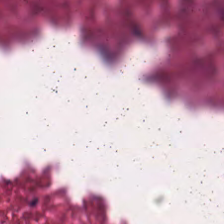H&E stain · 0.5 microns per pixel. Finding — cellular debris.
